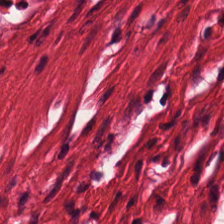Tissue type: muscularis.
